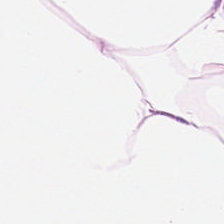Classification — adipocytes.
